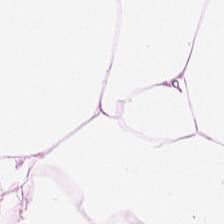This patch shows adipocytes.
